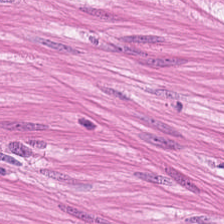Hematoxylin and eosin.
This patch shows smooth-muscle tissue.
